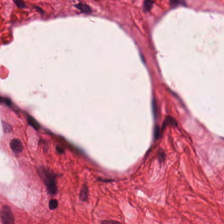Tissue — smooth-muscle tissue.
